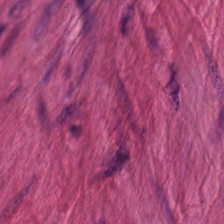H&E stain. Tissue type — muscularis.
